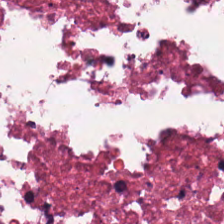Formalin-fixed paraffin-embedded section; 20× equivalent magnification; hematoxylin and eosin.
Classification: cellular debris.
